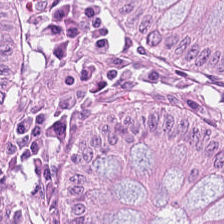H&E-stained tissue section — The tissue here is normal colon mucosa.
